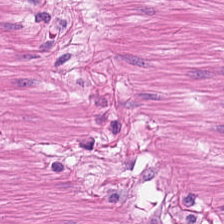H&E-stained tissue section. Formalin-fixed paraffin-embedded section — Tissue = smooth-muscle tissue.
